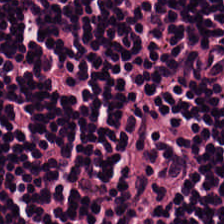The predominant tissue is lymphocyte aggregate.
